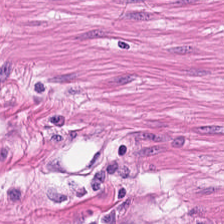This field is smooth muscle.
